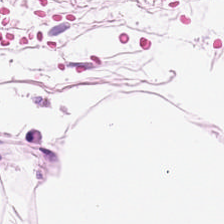224×224 pixel tile; hematoxylin and eosin; FFPE. Q: Identify the tissue.
A: The field shows adipocytes.
